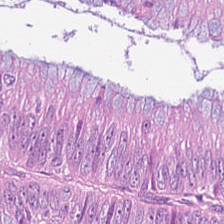Hematoxylin and eosin. Finding — colorectal adenocarcinoma epithelium.
